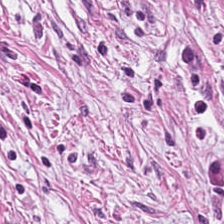Hematoxylin and eosin. 0.5 microns per pixel — The predominant tissue is desmoplastic stroma.
